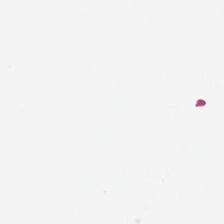Hematoxylin-and-eosin stained section; 224×224 pixel tile.
The content is background (no tissue).
